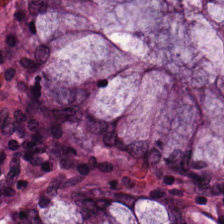Stain: hematoxylin and eosin.
Tissue type: normal colon mucosa.
